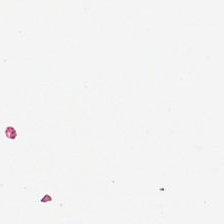H&E — The field content is empty background.
